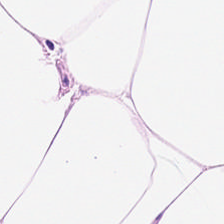Hematoxylin and eosin; brightfield microscopy.
Tissue — adipocytes.
